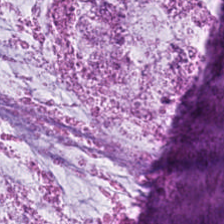{"tissue_type": "mucin"}
